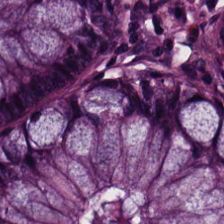Tissue type — non-neoplastic colon mucosa.
